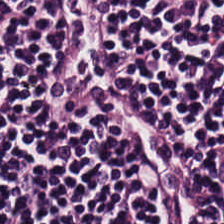0.5 microns per pixel. H&E-stained tissue section.
Q: What tissue type is shown here?
A: This is lymphocytes.
